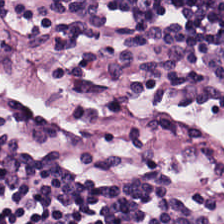H&E stain.
Showing lymphoid infiltrate.
